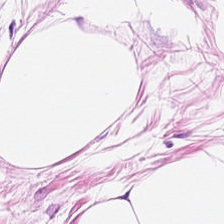H&E — Histology → adipose.
